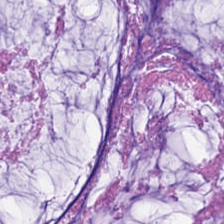Stain: hematoxylin and eosin.
Tile size: 224×224 px tile.
Preparation: formalin-fixed paraffin-embedded section.
Tissue type: extracellular mucin.
